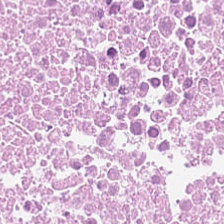Hematoxylin and eosin · 224×224 pixel tile · brightfield microscopy.
Q: What is shown here?
A: The field shows debris.
